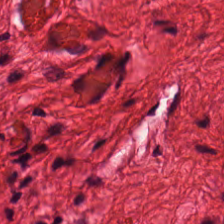20× equivalent magnification · H&E stain.
Tissue type — smooth-muscle tissue.
